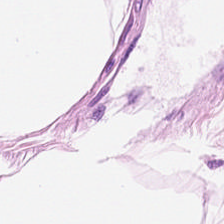H&E-stained tissue section; FFPE tissue section — The tissue type is adipose.
